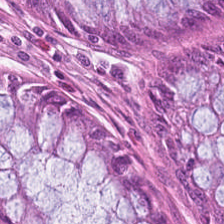Hematoxylin and eosin. Predominant tissue: benign colonic mucosa.
